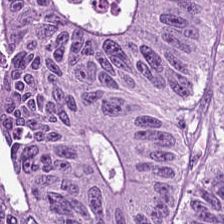Hematoxylin-and-eosin stained section.
Q: What is shown in this field?
A: Adenocarcinoma.
